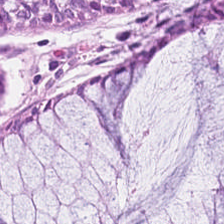H&E.
This field is normal colon mucosa.
